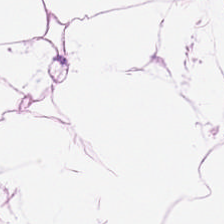Showing adipose tissue.
